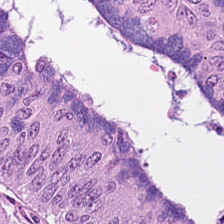Q: What is shown here?
A: The field shows adenocarcinoma.
